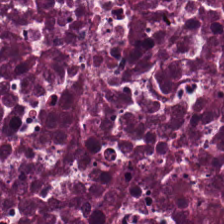Stain: H&E-stained tissue section.
Tissue type: necrotic debris.
